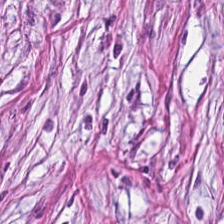Tumor stroma.
